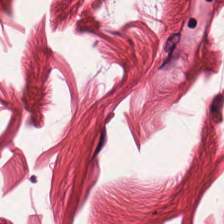H&E stain. {"tissue_type": "muscularis"}
